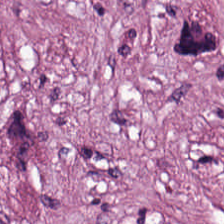224×224 pixel tile · H&E stain · 0.5 µm per pixel — Cancer-associated stroma.
